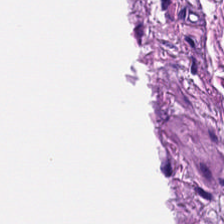Brightfield microscopy. Hematoxylin and eosin.
Tissue type — muscularis.
